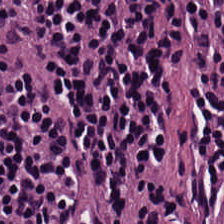H&E stain; 0.5 µm/px — Showing lymphocyte aggregate.
